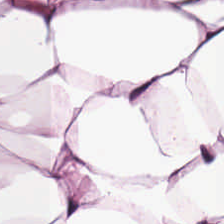Finding — adipocytes.
